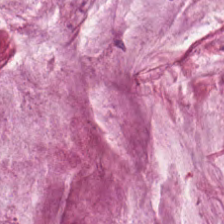H&E patch showing extracellular mucin.
